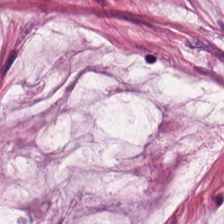H&E stain. This patch shows mucus.
